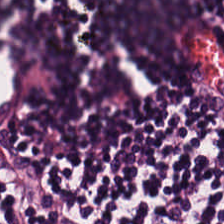H&E.
Histology → lymphocytes.
